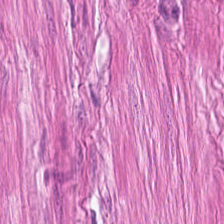Formalin-fixed paraffin-embedded section · H&E-stained tissue section · 0.5 µm/px — Smooth muscle.
